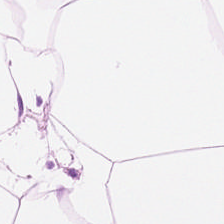H&E stain. Q: What is the predominant tissue type?
A: Adipose.
